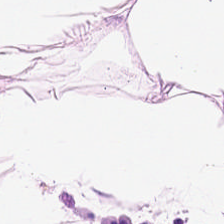Hematoxylin-and-eosin stained section.
Impression — adipose tissue.
